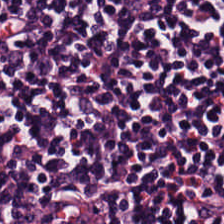H&E-stained tissue section. Histology — lymphocyte aggregate.
